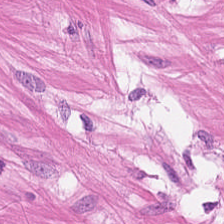H&E stain. Brightfield. 224×224 pixel tile — Q: What tissue type is shown here?
A: This is muscularis.
